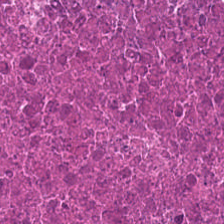This field is cellular debris.
